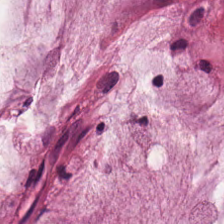H&E stain. Tissue: extracellular mucin.
